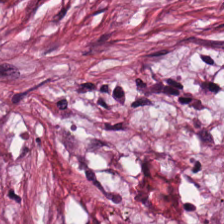Hematoxylin and eosin; brightfield microscopy. Q: What type of tissue is this?
A: This is desmoplastic stroma.
